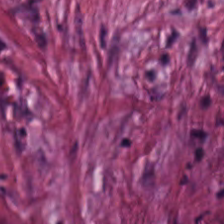Tissue: tumor-associated stroma.
